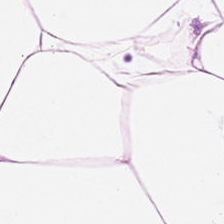H&E patch showing adipocytes.
